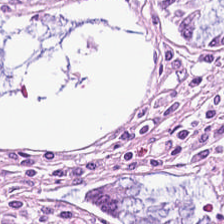H&E.
Q: What tissue type is shown here?
A: This is normal colonic mucosa.
